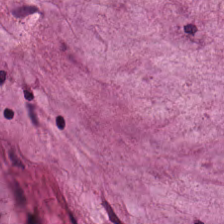Tissue — extracellular mucin.
